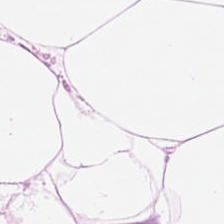H&E stain · FFPE tissue section — Tissue — fat tissue.
